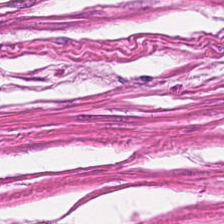0.5 microns per pixel · 224×224 px patch · H&E — Classification: muscularis.
